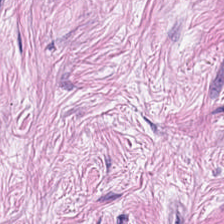Stain: H&E-stained tissue section.
Tissue class: desmoplastic stroma.
